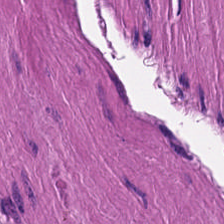H&E patch showing smooth muscle.
